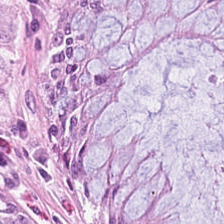H&E stain — Q: What is the predominant tissue type?
A: Non-neoplastic colon mucosa.
